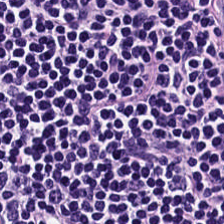Stain: H&E.
Tile size: 224×224 pixel tile.
Acquisition: whole-slide-image patch.
Predominant tissue: lymphocytes.
